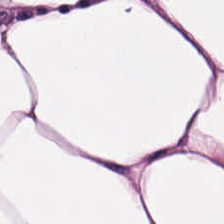FFPE tissue section; H&E stain — Showing adipocytes.
